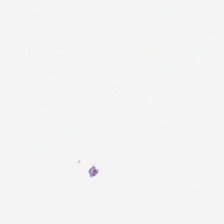H&E stain; 20× equivalent magnification — Content — empty background.
